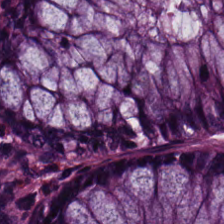0.5 microns per pixel; hematoxylin and eosin.
Tissue type: non-neoplastic colon mucosa.
